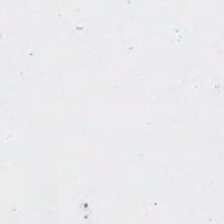Brightfield. Hematoxylin and eosin. 0.5 microns per pixel — No tissue present; background only.
